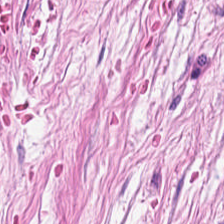Hematoxylin-and-eosin stained section. Predominantly cancer-associated stroma.
